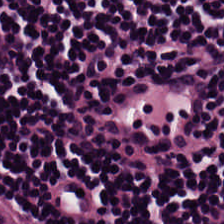FFPE; hematoxylin-and-eosin stained section.
Tissue = lymphocyte aggregate.
